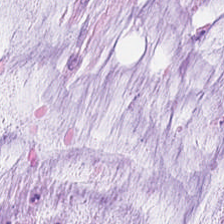Hematoxylin and eosin. The tissue here is mucus.
